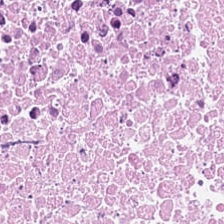H&E stain · 0.5 µm/px. Tissue: cellular debris.
